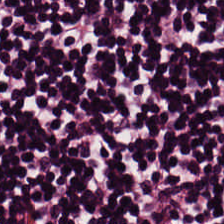Hematoxylin and eosin; brightfield microscopy. Q: What is shown here?
A: It is lymphocyte aggregate.
